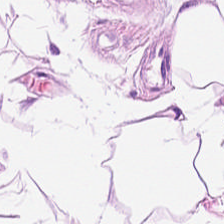H&E stain — {"tissue_type": "fat tissue"}
